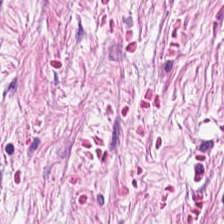H&E stain — The tissue type is cancer-associated stroma.
